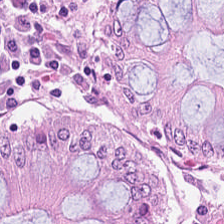H&E. The tissue here is normal colon mucosa.
